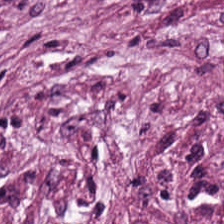Stain: hematoxylin and eosin.
Preparation: FFPE.
Tissue class: tumor stroma.
